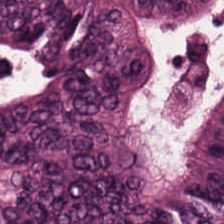Hematoxylin and eosin — This patch shows malignant epithelium.
